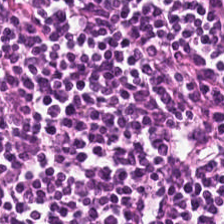0.5 µm/px; FFPE tissue section; hematoxylin and eosin.
Tissue class — lymphoid infiltrate.
